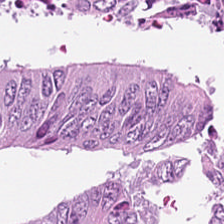H&E-stained tissue section. 224×224 px patch. 0.5 microns per pixel.
The tissue class is malignant epithelium.
